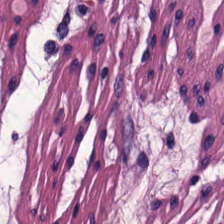Predominantly smooth-muscle tissue.
